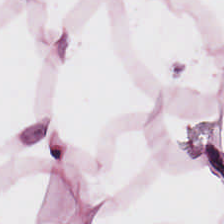{"tissue_type": "fat tissue"}
